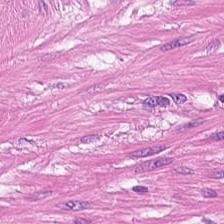H&E. Brightfield. 0.5 µm/px — Predominant tissue — muscularis.
